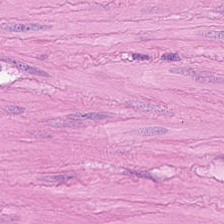Formalin-fixed paraffin-embedded section. Hematoxylin and eosin — Muscularis.
